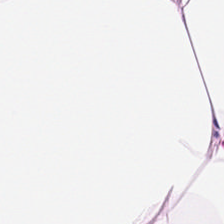H&E. Tissue class: adipose tissue.
